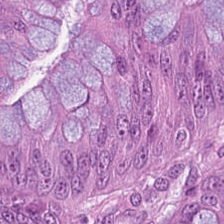Q: Identify the tissue.
A: Colorectal adenocarcinoma epithelium.
